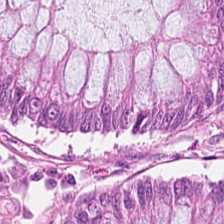20× equivalent magnification · H&E stain · formalin-fixed paraffin-embedded section.
Showing normal colonic mucosa.
